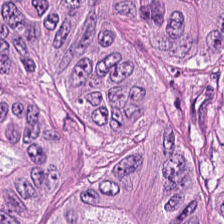H&E stain; brightfield. Tissue class: adenocarcinoma.
